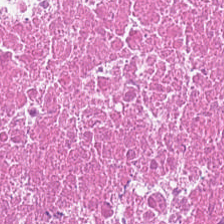H&E. 0.5 microns per pixel.
The predominant tissue is debris.
